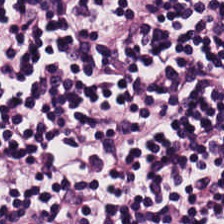Classification — lymphocytic infiltrate.
